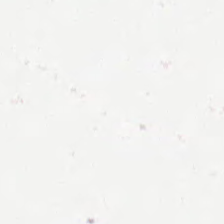This field is background (no tissue).
